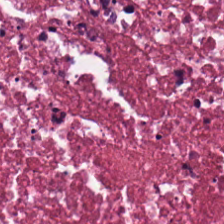Predominant tissue = cellular debris.
